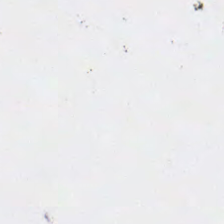Stain: H&E.
Classification: no tissue.
